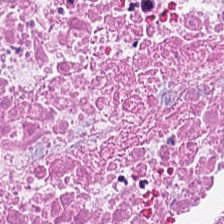Hematoxylin and eosin — This patch shows necrotic debris.
